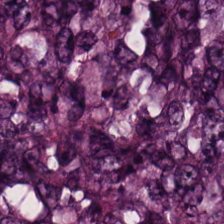Stain: H&E-stained tissue section.
Tile size: 224×224 pixel tile.
Preparation: FFPE.
Tissue class: colorectal adenocarcinoma epithelium.
